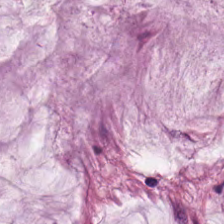Classification: mucin.
